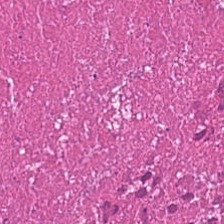0.5 microns per pixel. Hematoxylin-and-eosin stained section.
Q: What type of tissue is this?
A: Debris.
